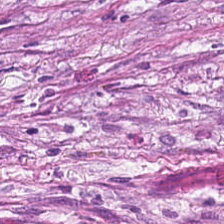Tissue class = tumor stroma.
